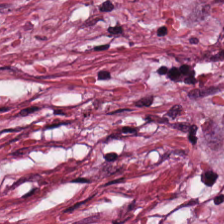H&E stain.
The tissue here is desmoplastic stroma.
